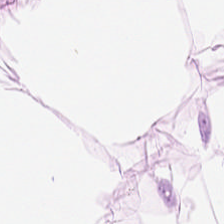Stain: H&E stain.
Tile size: 224×224 px patch.
Resolution: 0.5 µm/px.
Predominant tissue: fat tissue.
